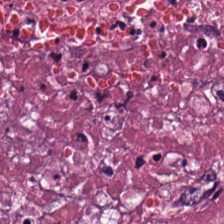H&E stain · FFPE — The predominant tissue is necrotic debris.
